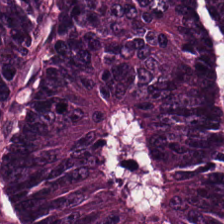FFPE; 0.5 microns per pixel; hematoxylin-and-eosin stained section — Classification = colorectal adenocarcinoma epithelium.
